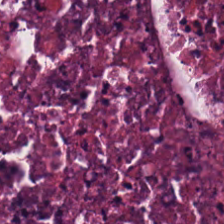H&E-stained tissue section. FFPE tissue section. Brightfield microscopy. {"tissue_type": "cellular debris"}
